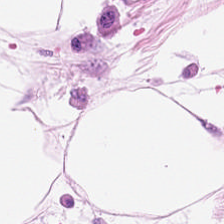Hematoxylin-and-eosin stained section.
The classification is fat tissue.
